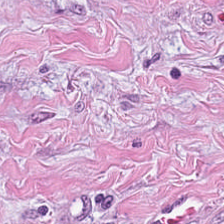Tissue: cancer-associated stroma.
